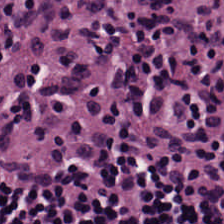H&E; WSI patch. Tissue class — lymphocytes.
